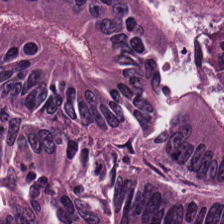Brightfield. H&E. FFPE. Tissue = adenocarcinoma.
